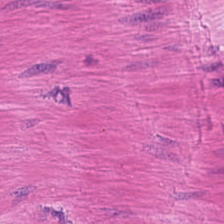Hematoxylin and eosin. Q: What tissue is shown?
A: Smooth muscle.
